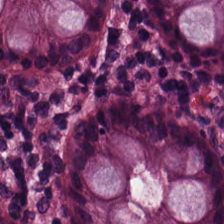H&E-stained tissue section.
Tissue class: non-neoplastic colon mucosa.
